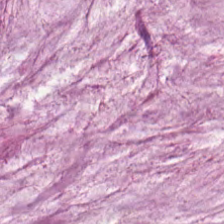This patch shows mucus.
